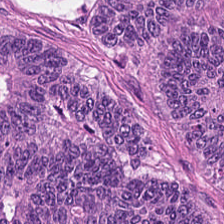Hematoxylin-and-eosin stained section.
Q: What tissue is shown?
A: This is colorectal adenocarcinoma.
